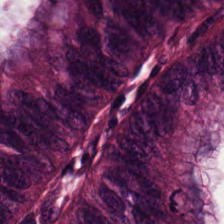Hematoxylin-and-eosin stained section — This field is adenocarcinoma.
